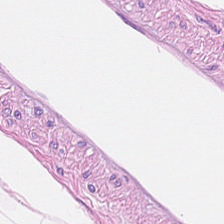H&E stain.
Predominantly fat tissue.
